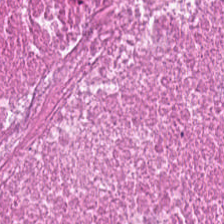H&E stain.
Q: What is shown in this field?
A: This is debris.
